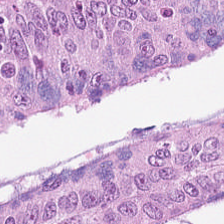Stain: hematoxylin and eosin.
Predominant tissue: colorectal adenocarcinoma.
